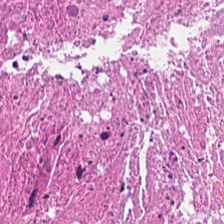Hematoxylin-and-eosin stained section. The predominant tissue is debris.
